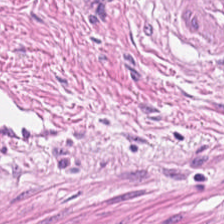H&E stain. Formalin-fixed paraffin-embedded section. 224×224 pixel tile.
Tissue type = smooth muscle.
